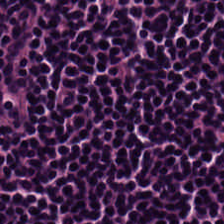0.5 µm per pixel; hematoxylin and eosin; WSI patch. The tissue here is lymphocyte aggregate.
